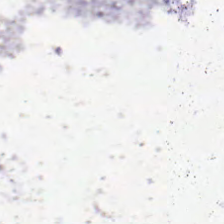WSI patch · hematoxylin and eosin — No tissue present; background only.
